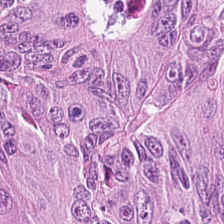Hematoxylin-and-eosin section: tumor epithelium.
